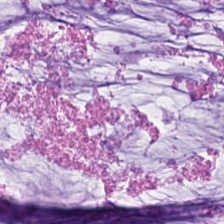20× equivalent magnification. H&E-stained tissue section.
Q: Classify this patch.
A: This is mucus.
